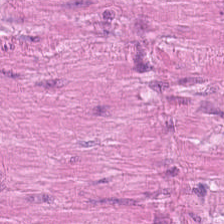Hematoxylin and eosin · WSI patch · FFPE.
Showing muscularis.
